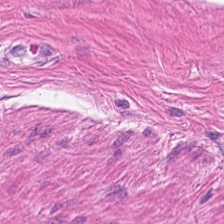Q: What is shown in this field?
A: Smooth-muscle tissue.
